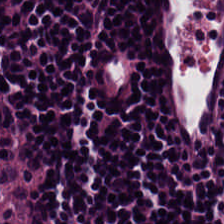224×224 pixel tile. H&E stain.
Predominantly lymphoid infiltrate.
